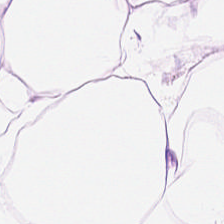H&E stain.
Q: What type of tissue is this?
A: This is adipocytes.
